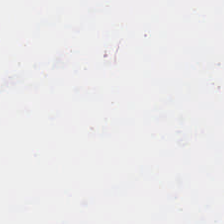H&E-stained tissue section.
Background — no tissue in this field.
